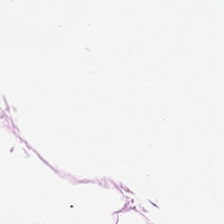This patch shows fat tissue.
